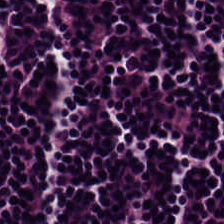H&E stain. 224×224 px tile.
Predominant tissue = lymphocytes.
